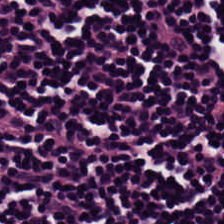H&E-stained tissue section.
Lymphocytic infiltrate.
